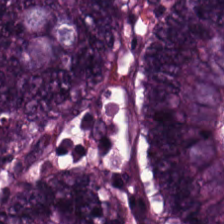Hematoxylin-and-eosin stained section. FFPE.
This field is colorectal adenocarcinoma.
